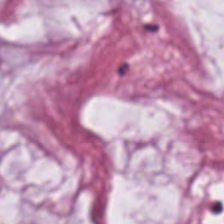H&E-stained tissue section. The classification is extracellular mucin.
